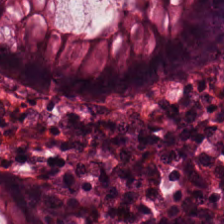H&E-stained tissue section — Impression → non-neoplastic colon mucosa.
